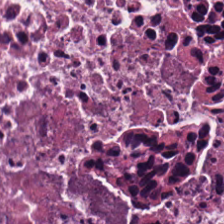WSI patch; H&E.
Q: Classify this patch.
A: It is cellular debris.
